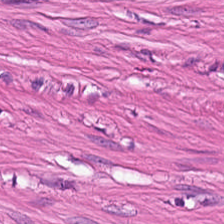H&E-stained tissue section. Formalin-fixed paraffin-embedded section.
The tissue here is muscularis.
